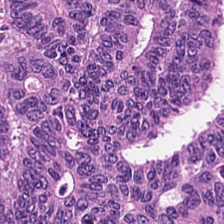Stain: hematoxylin and eosin.
Tissue: colorectal adenocarcinoma.
